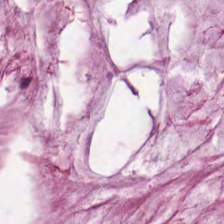H&E stain — The predominant tissue is mucus.
